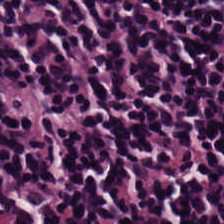Histology → lymphocytic infiltrate.
